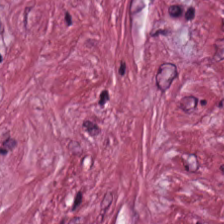FFPE. H&E-stained tissue section — Predominantly cancer-associated stroma.
